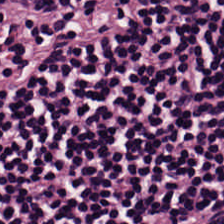H&E stain. Showing lymphocyte aggregate.
